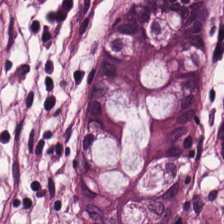Q: Classify this patch.
A: The field shows non-neoplastic colon mucosa.
